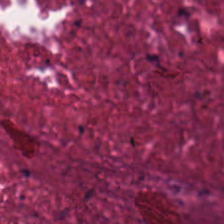H&E — Q: What is shown here?
A: This is debris.
